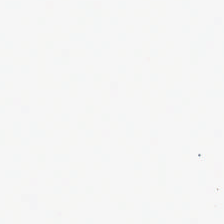{"content": "no tissue"}
